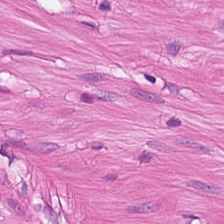H&E. The tissue type is smooth muscle.
